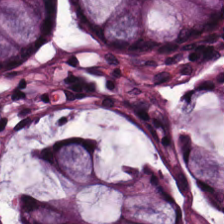H&E-stained tissue section · 0.5 µm per pixel · brightfield microscopy.
Showing non-neoplastic colon mucosa.
